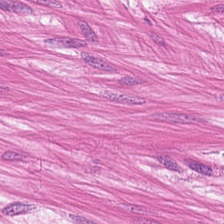224×224 px tile; whole-slide-image patch; H&E stain.
This field is muscularis.
